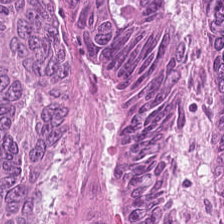Hematoxylin and eosin. Showing colorectal adenocarcinoma.
